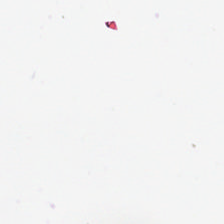H&E-stained tissue section. Q: Classify this patch.
A: This is empty background.
